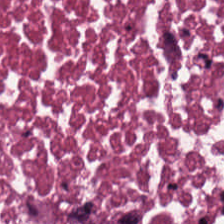H&E-stained tissue section · brightfield microscopy — Tissue type = cellular debris.
